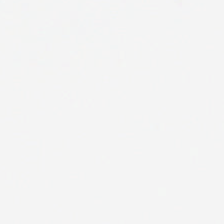Hematoxylin and eosin — Empty background.
